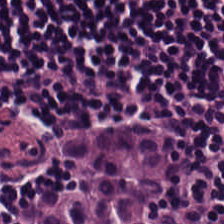Hematoxylin and eosin. FFPE tissue section. Whole-slide-image patch — The predominant tissue is lymphoid infiltrate.
